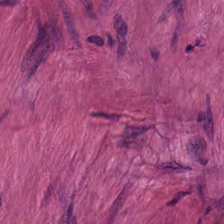Hematoxylin and eosin — This field is smooth muscle.
